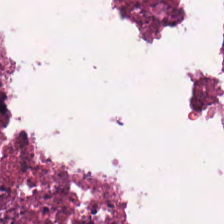Stain: H&E-stained tissue section.
Classification: cellular debris.
